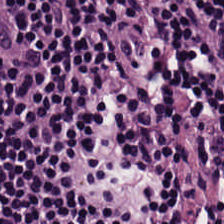20× equivalent magnification. Hematoxylin-and-eosin stained section. Showing lymphocyte aggregate.
